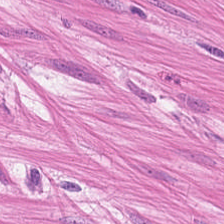H&E; 0.5 µm per pixel. The predominant tissue is smooth muscle.
